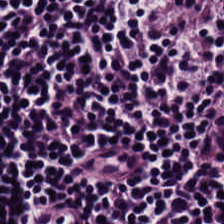Hematoxylin-and-eosin stained section — The tissue here is lymphocytes.
